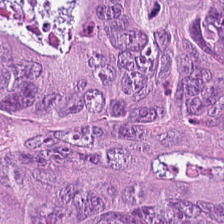Hematoxylin and eosin — Q: Identify the tissue.
A: It is tumor epithelium.
